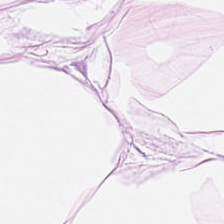FFPE tissue section. H&E stain. Predominant tissue = adipose tissue.
